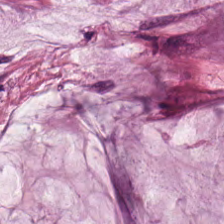Brightfield. H&E — Tissue class: mucus.
